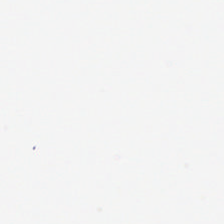Finding → background (no tissue).
